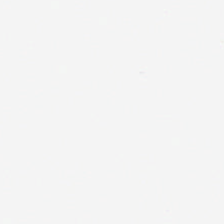224×224 px tile. WSI patch. H&E stain — This field is background (no tissue).
